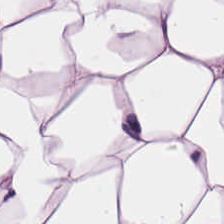H&E-stained tissue section; FFPE tissue section.
Q: What does this patch show?
A: This is adipocytes.
